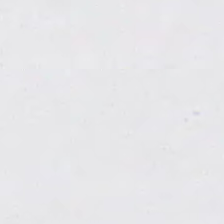Formalin-fixed paraffin-embedded section. Hematoxylin and eosin.
Q: What does this patch show?
A: This is background (no tissue).
